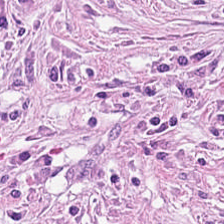Stain: hematoxylin and eosin.
Preparation: FFPE tissue section.
Tile size: 224×224 px tile.
Predominant tissue: desmoplastic stroma.
